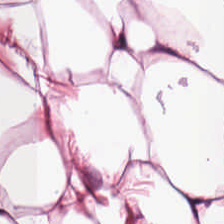Hematoxylin-and-eosin stained section — {"tissue_type": "adipose"}
